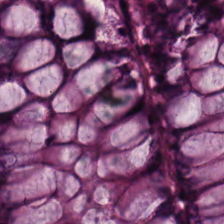Non-neoplastic colon mucosa.
